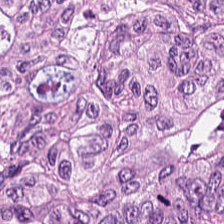Hematoxylin-and-eosin stained section — Predominant tissue: colorectal adenocarcinoma.
